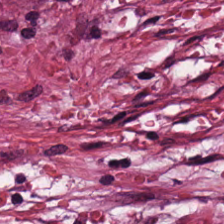Predominant tissue — desmoplastic stroma.
